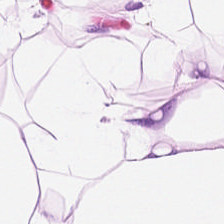Stain: H&E-stained tissue section.
Acquisition: WSI patch.
Resolution: 0.5 µm/px.
Classification: fat tissue.
